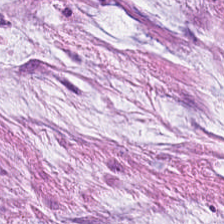H&E-stained tissue section — Q: What is shown in this field?
A: The field shows mucin.
